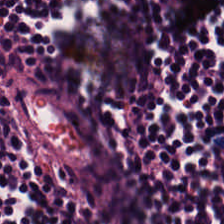H&E; 224×224 pixel tile; formalin-fixed paraffin-embedded section. Finding — lymphocytic infiltrate.
